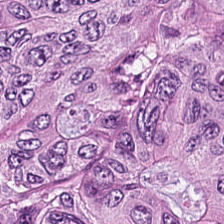H&E — The tissue here is tumor epithelium.
